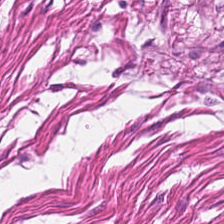Tissue: smooth muscle.
